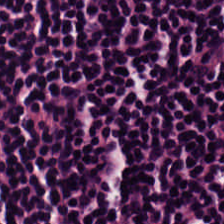H&E-stained tissue section. 224×224 px patch. {"tissue_type": "lymphocytic infiltrate"}
